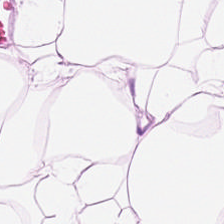224×224 px tile · H&E stain.
The tissue is adipose.
